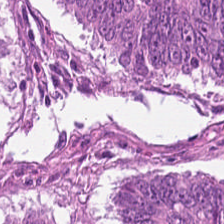Impression → malignant epithelium.
